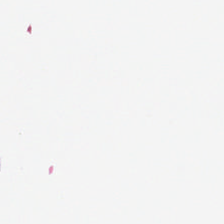Background — no tissue in this field.
